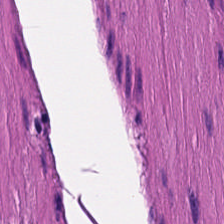H&E stain · 20× equivalent magnification · 224×224 pixel tile.
Q: Identify the tissue.
A: Smooth muscle.
